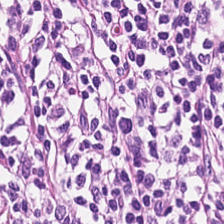Lymphoid infiltrate.
